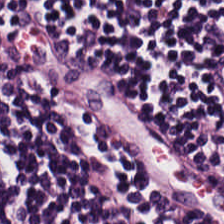Hematoxylin and eosin — {"tissue_type": "lymphoid infiltrate"}
